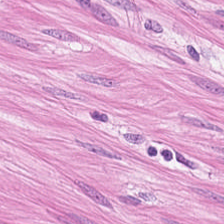Stain: hematoxylin-and-eosin stained section.
Predominant tissue: smooth-muscle tissue.
